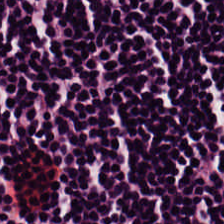H&E-stained tissue section · 0.5 µm/px.
Histology → lymphocytic infiltrate.
